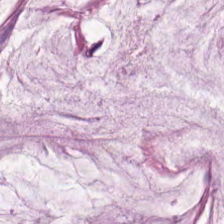H&E-stained section; the field shows extracellular mucin.
